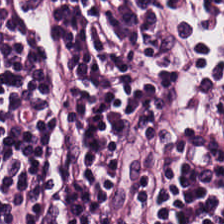The tissue here is lymphocytes.
